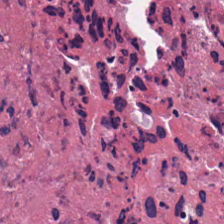224×224 pixel tile. 0.5 µm per pixel. Hematoxylin-and-eosin stained section — Q: Identify the tissue.
A: Cellular debris.
